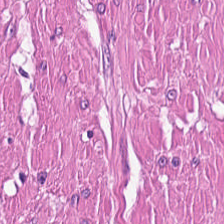H&E-stained tissue section — This field is smooth-muscle tissue.
